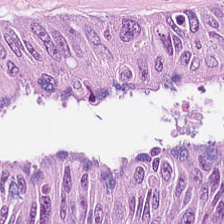0.5 µm/px · H&E stain. {"tissue_type": "colorectal adenocarcinoma epithelium"}
